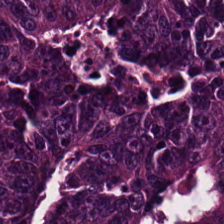FFPE · H&E — Histology → malignant epithelium.
